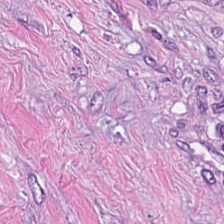This patch shows tumor stroma.
